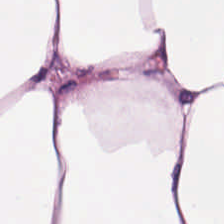The tissue class is adipocytes.
